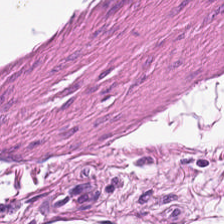Hematoxylin and eosin. The tissue here is smooth muscle.
